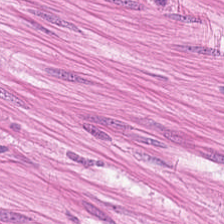Stain: H&E.
Tissue type: muscularis.
